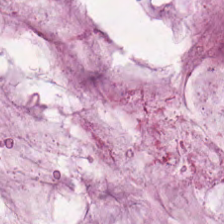Hematoxylin-and-eosin stained section. {"tissue_type": "mucin"}
